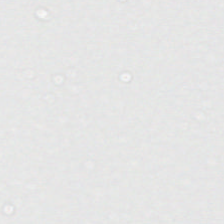H&E — The classification is no tissue.
